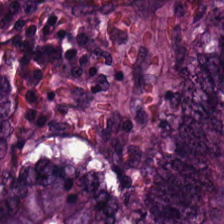Predominant tissue — colorectal adenocarcinoma.
